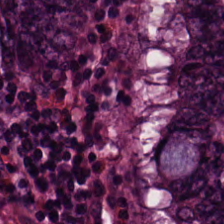Whole-slide-image patch · H&E stain. Predominantly malignant epithelium.
